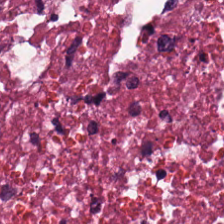Tissue type = cellular debris.
